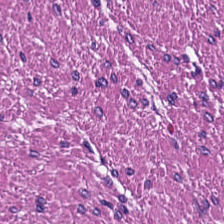20× equivalent magnification. Hematoxylin and eosin.
Impression — smooth-muscle tissue.
